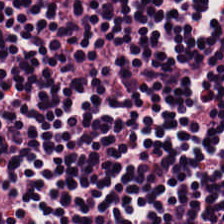H&E-stained tissue section; 224×224 px patch — This patch shows lymphocyte aggregate.
